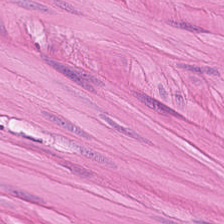H&E — Predominantly smooth-muscle tissue.
